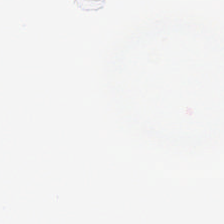224×224 pixel tile · H&E · 0.5 µm per pixel.
This patch shows background (no tissue).
